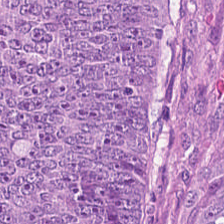Stain: H&E-stained tissue section.
Tissue: adenocarcinoma.
